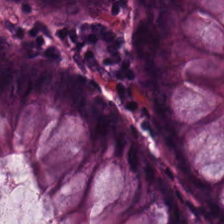Stain: H&E stain.
Tissue: normal colonic mucosa.
